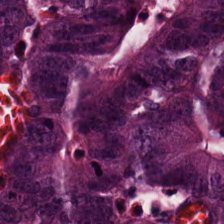Hematoxylin and eosin.
This patch shows malignant epithelium.
